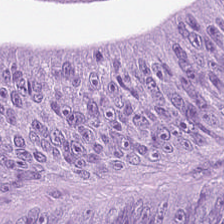FFPE; hematoxylin-and-eosin stained section.
Q: What does this patch show?
A: The field shows tumor epithelium.
